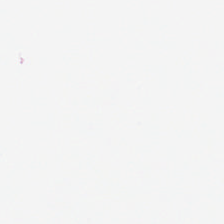Classification = background (no tissue).
